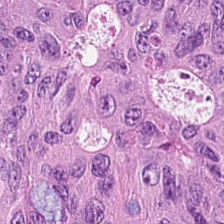H&E-stained tissue section; 224×224 pixel tile. Showing adenocarcinoma.
